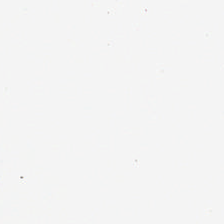The classification is no tissue.
